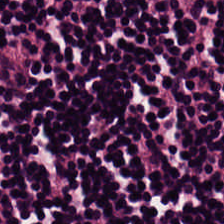224×224 px patch. Hematoxylin-and-eosin stained section.
Classification = lymphoid infiltrate.
